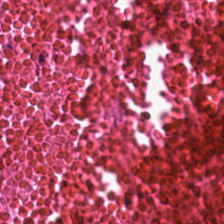Hematoxylin and eosin; 0.5 µm per pixel. Tissue — debris.
